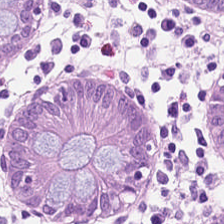Hematoxylin-and-eosin stained section.
Impression — normal colon mucosa.
